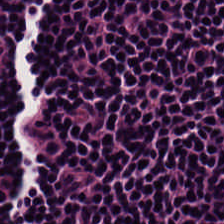Hematoxylin-and-eosin stained section. 224×224 px patch.
Tissue class — lymphoid infiltrate.
